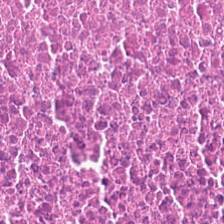Hematoxylin-and-eosin stained section.
{"tissue_type": "necrotic debris"}
